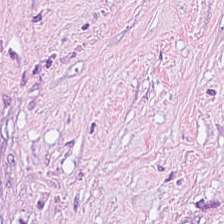H&E stain — Finding — tumor stroma.
